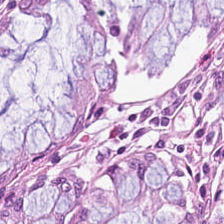Hematoxylin-and-eosin stained section. {"tissue_type": "non-neoplastic colon mucosa"}
